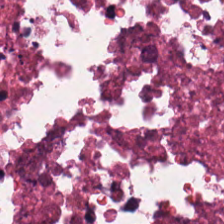Whole-slide-image patch · H&E-stained tissue section — Tissue type = cellular debris.
